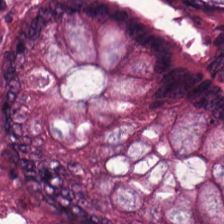Stain: H&E stain.
Tissue class: benign colonic mucosa.
